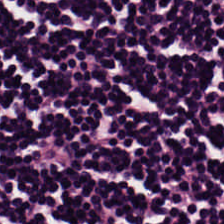Tissue type = lymphoid infiltrate.
